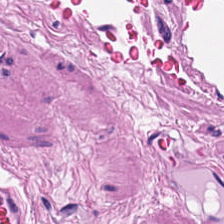Q: What tissue type is shown here?
A: The field shows muscularis.
